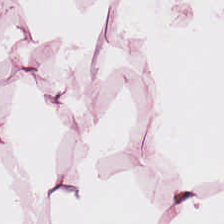Hematoxylin-and-eosin stained section — Histology → adipose.
